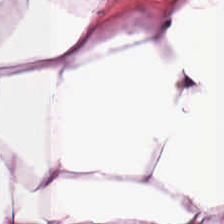H&E — Predominantly adipose.
